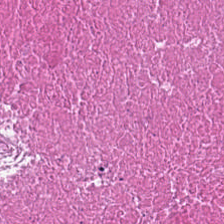Hematoxylin-and-eosin section: necrotic debris.
